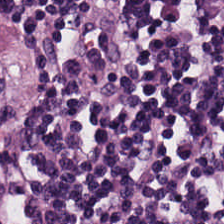H&E stain · formalin-fixed paraffin-embedded section.
This field is lymphocyte aggregate.
